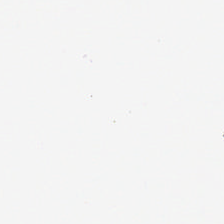Hematoxylin-and-eosin stained section; WSI patch — No tissue.
